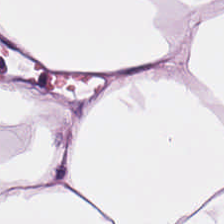H&E — adipose.
